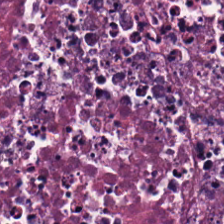The tissue class is cellular debris.
